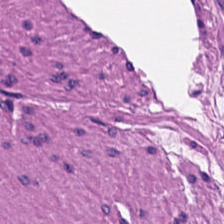H&E · whole-slide-image patch · formalin-fixed paraffin-embedded section.
Q: Classify this patch.
A: It is muscularis.
